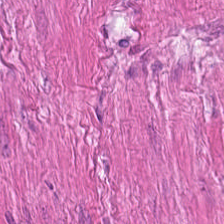This patch shows smooth-muscle tissue.
